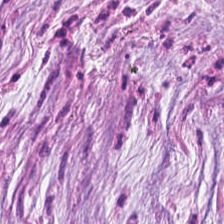The predominant tissue is extracellular mucin.
